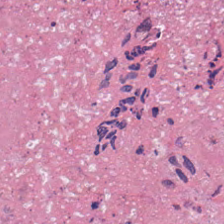Hematoxylin and eosin · brightfield microscopy · 20× equivalent magnification. The predominant tissue is necrotic debris.
